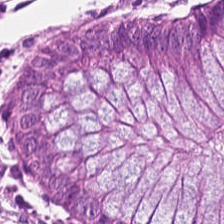Whole-slide-image patch · hematoxylin-and-eosin stained section — Q: What tissue type is shown here?
A: The field shows benign colonic mucosa.
